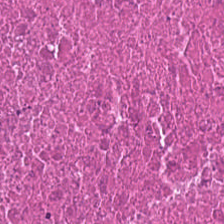H&E.
Q: What does this patch show?
A: The field shows debris.
